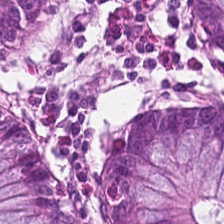Hematoxylin and eosin. Normal colonic mucosa.
